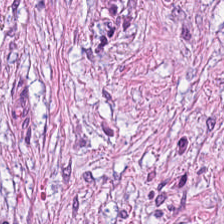Brightfield. Formalin-fixed paraffin-embedded section. H&E. Q: What type of tissue is this?
A: It is desmoplastic stroma.
